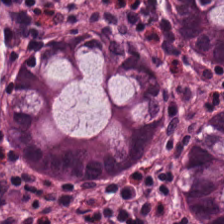Hematoxylin-and-eosin stained section — The predominant tissue is benign colonic mucosa.
